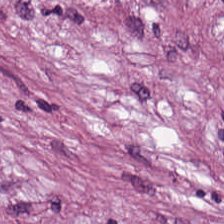WSI patch; H&E stain. Impression — cancer-associated stroma.
